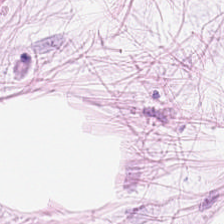Finding → adipose.
